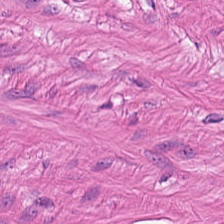Brightfield · FFPE · H&E. Classification = smooth-muscle tissue.
